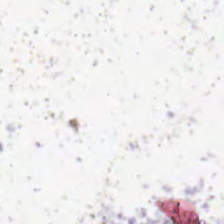FFPE; hematoxylin-and-eosin stained section. {"content": "background"}
